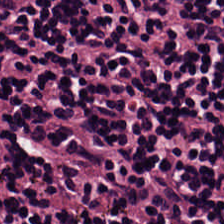Stain: H&E stain.
Preparation: FFPE tissue section.
Tissue type: lymphocytic infiltrate.
